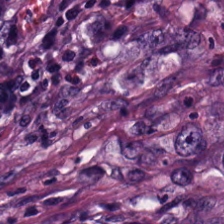Hematoxylin-and-eosin stained section — The tissue here is lymphocytic infiltrate.
